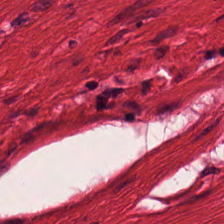224×224 px tile. Hematoxylin and eosin. WSI patch. Tissue: smooth muscle.
